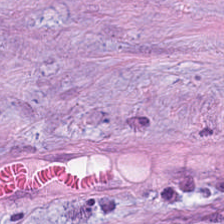Stain: H&E.
Preparation: FFPE tissue section.
Tile size: 224×224 px patch.
Predominant tissue: desmoplastic stroma.
